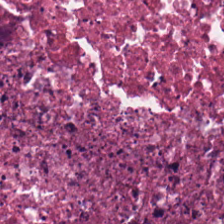Hematoxylin-and-eosin stained section — Predominantly cellular debris.
